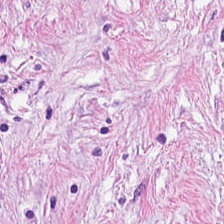Q: What is the predominant tissue type?
A: It is tumor-associated stroma.
